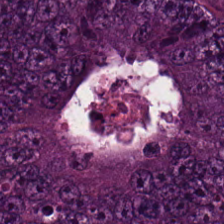Hematoxylin and eosin · 0.5 microns per pixel.
Impression → colorectal adenocarcinoma.
